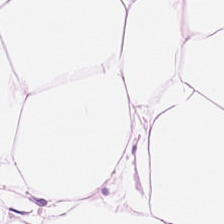Stain: H&E stain.
Preparation: FFPE tissue section.
Classification: fat tissue.
